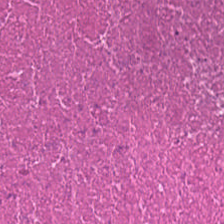Stain: H&E.
Preparation: FFPE.
Tissue type: necrotic debris.
